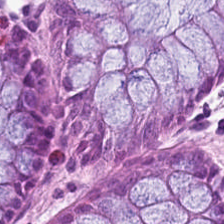Q: What tissue is shown?
A: Normal colonic mucosa.
